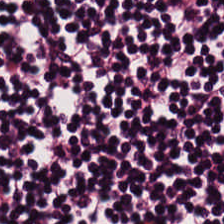Hematoxylin and eosin — Q: What tissue is shown?
A: This is lymphocyte aggregate.
